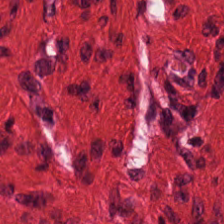Muscularis.
